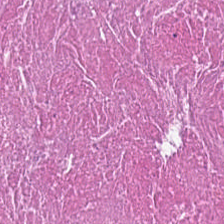H&E stain. Q: What is shown in this field?
A: Necrotic debris.
